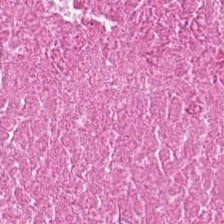This patch shows necrotic debris.
